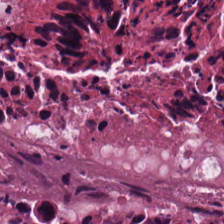20× equivalent magnification; brightfield; H&E-stained tissue section. The tissue here is cellular debris.
